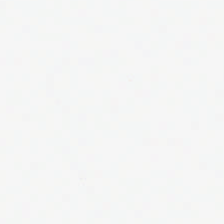Q: What does this patch show?
A: Background (no tissue).
